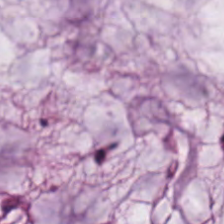H&E. Formalin-fixed paraffin-embedded section. Classification: mucus.
